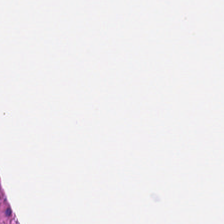H&E. Tissue — smooth muscle.
